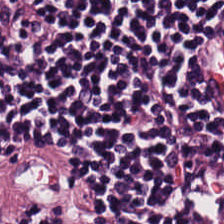H&E-stained tissue section.
Lymphocytes.
